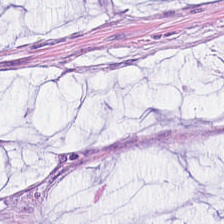WSI patch; H&E-stained tissue section; 20× equivalent magnification — Predominantly mucin.
